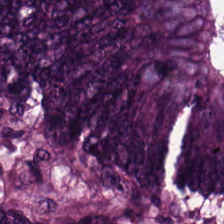Whole-slide-image patch · H&E. {"tissue_type": "colorectal adenocarcinoma epithelium"}
